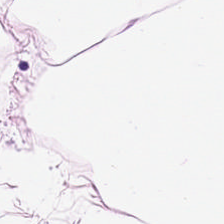Stain: H&E.
Tissue: adipose tissue.
